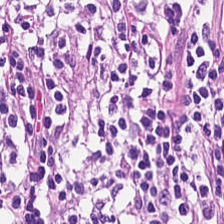H&E · whole-slide-image patch — {"tissue_type": "lymphocytic infiltrate"}
